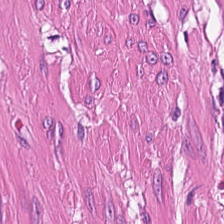Hematoxylin-and-eosin section: smooth muscle.
